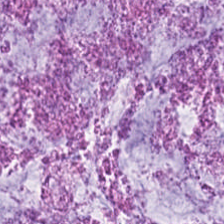FFPE tissue section; H&E-stained tissue section.
The predominant tissue is mucin.
